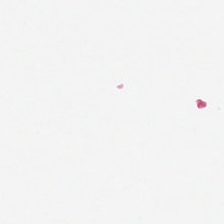Empty field — empty background.
